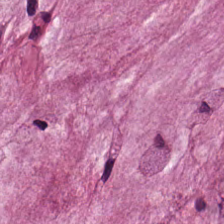Hematoxylin and eosin · whole-slide-image patch.
This patch shows mucus.
